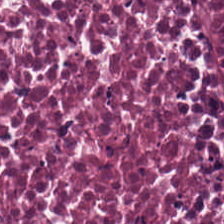H&E stain.
Predominant tissue: necrotic debris.
